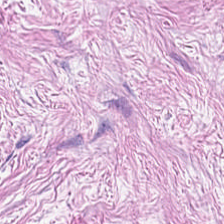Classification — tumor-associated stroma.
